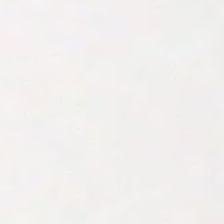H&E-stained tissue section. Q: What does this patch show?
A: The field shows background.
